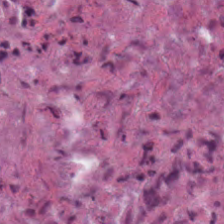H&E-stained section; the field shows cellular debris.
